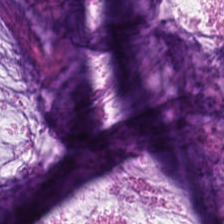H&E-stained tissue section. 224×224 px tile — Tissue class: mucin.
